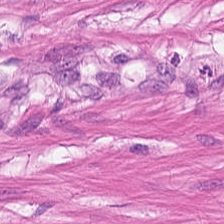0.5 microns per pixel; H&E stain. This field is muscularis.
